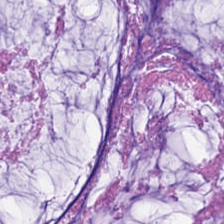Stain: hematoxylin and eosin.
Predominant tissue: mucin.
